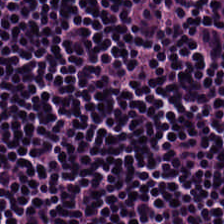Hematoxylin-and-eosin stained section · FFPE tissue section — Tissue type = lymphoid infiltrate.
